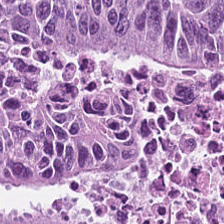Whole-slide-image patch; hematoxylin and eosin.
This field is colorectal adenocarcinoma epithelium.
